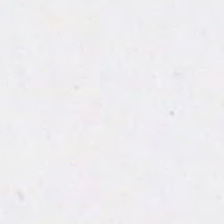Impression — no tissue.
